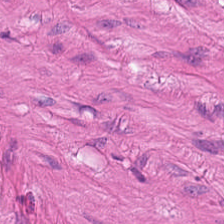0.5 µm/px · 224×224 px tile · hematoxylin and eosin.
Q: What type of tissue is this?
A: It is muscularis.
